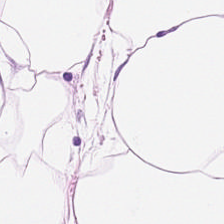H&E stain; brightfield microscopy; FFPE tissue section — The tissue is adipose.
